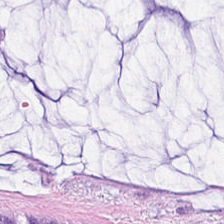Stain: H&E stain.
Resolution: 0.5 microns per pixel.
Tissue class: mucus.
